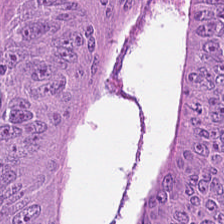Q: What is shown in this field?
A: Malignant epithelium.
